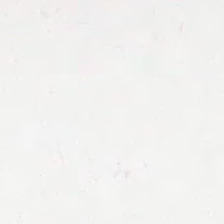Stain: H&E stain.
Classification: background.
